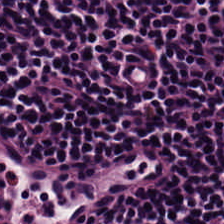0.5 microns per pixel; H&E stain. This field is lymphocytic infiltrate.
